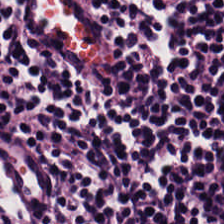Hematoxylin-and-eosin stained section.
{"tissue_type": "lymphocytes"}
